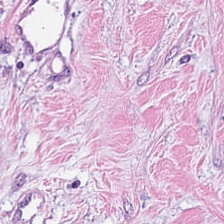Brightfield; H&E-stained tissue section; 224×224 pixel tile — This patch shows tumor stroma.
